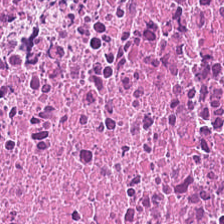Brightfield microscopy; H&E. This field is necrotic debris.
